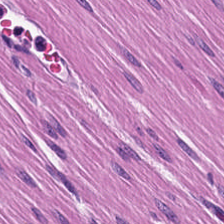Hematoxylin and eosin — Smooth-muscle tissue.
